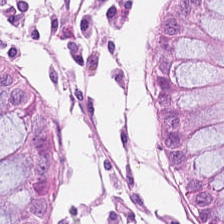H&E stain · WSI patch.
Tissue — normal colon mucosa.
